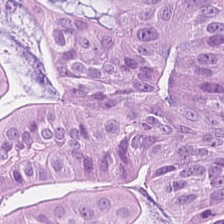Tissue — tumor epithelium.
